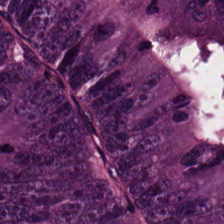Finding — colorectal adenocarcinoma epithelium.
